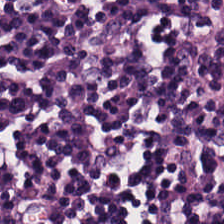Predominantly lymphocytes.
